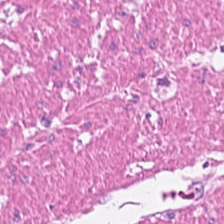Q: What is shown here?
A: It is smooth-muscle tissue.
